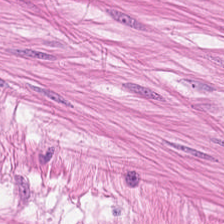Stain: H&E-stained tissue section.
Predominant tissue: smooth-muscle tissue.
